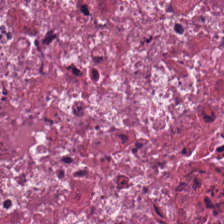The predominant tissue is debris.
